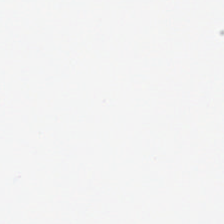Formalin-fixed paraffin-embedded section. Hematoxylin-and-eosin stained section. {"content": "background (no tissue)"}
